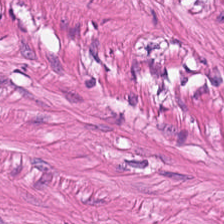{"tissue_type": "smooth-muscle tissue"}
